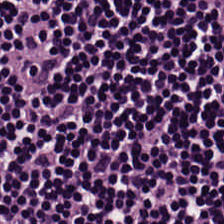Q: What tissue type is shown here?
A: This is lymphocytes.
